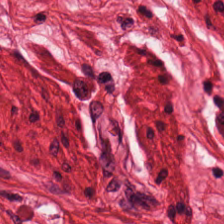H&E-stained tissue section.
Showing muscularis.
